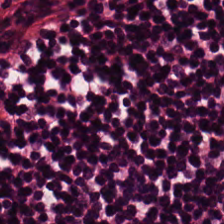Stain: hematoxylin-and-eosin stained section.
Tissue type: lymphocyte aggregate.
